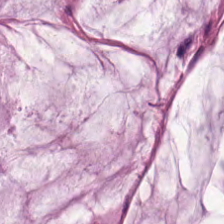Brightfield · 224×224 pixel tile · H&E-stained tissue section — Impression — mucus.
